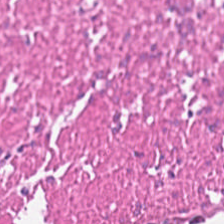H&E-stained section; the field shows smooth-muscle tissue.
